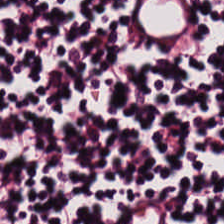H&E — lymphocyte aggregate.
